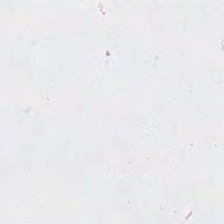H&E stain; brightfield.
Finding — empty background.
